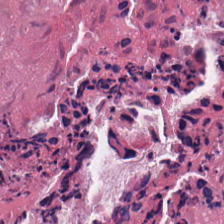{"tissue_type": "debris"}
